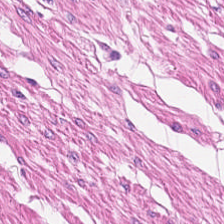Hematoxylin and eosin; FFPE tissue section. Q: What type of tissue is this?
A: It is smooth-muscle tissue.
